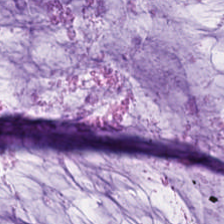H&E · 224×224 px patch. Q: What tissue type is shown here?
A: This is mucin.
